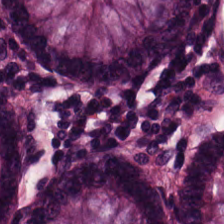Hematoxylin and eosin.
Classification: non-neoplastic colon mucosa.
